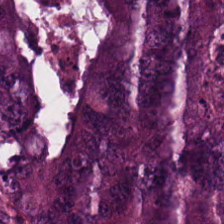Hematoxylin and eosin. This patch shows colorectal adenocarcinoma epithelium.
